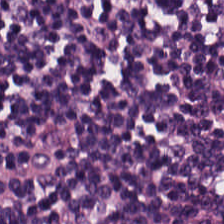Brightfield microscopy; hematoxylin-and-eosin stained section.
This patch shows lymphocytic infiltrate.
